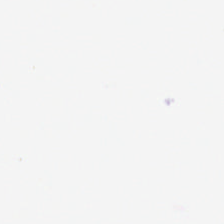Formalin-fixed paraffin-embedded section. H&E-stained tissue section.
The field content is background (no tissue).
